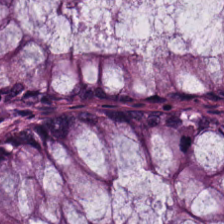224×224 px tile · hematoxylin and eosin — Tissue type — non-neoplastic colon mucosa.
